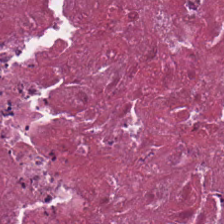224×224 px patch; hematoxylin-and-eosin stained section.
The tissue here is necrotic debris.
